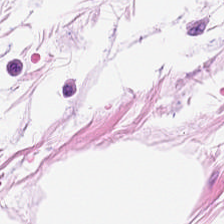FFPE tissue section. H&E. Brightfield.
Tissue class = fat tissue.
